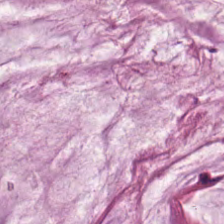Hematoxylin and eosin; 0.5 µm/px.
Extracellular mucin.
